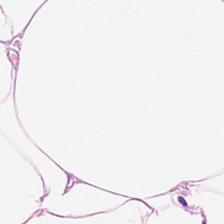H&E. Predominant tissue: fat tissue.
